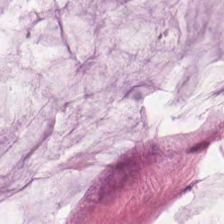Hematoxylin and eosin.
This patch shows mucin.
